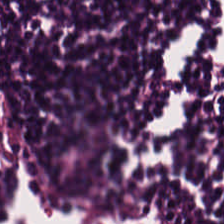0.5 µm per pixel · H&E stain. Lymphocyte aggregate.
